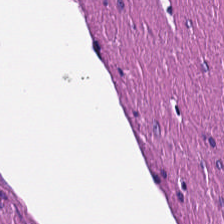WSI patch; H&E; 224×224 px tile.
Histology — smooth muscle.
